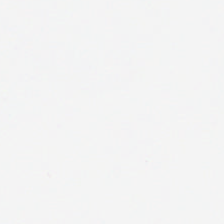Background — no tissue in this field.
